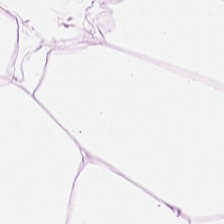Brightfield. H&E-stained tissue section. 224×224 px tile.
This patch shows adipocytes.
